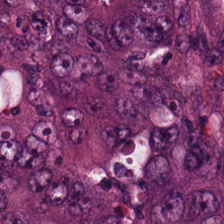Hematoxylin-and-eosin stained section. FFPE.
Predominantly adenocarcinoma.
